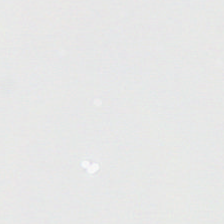224×224 pixel tile · H&E stain — Background — no tissue in this field.
